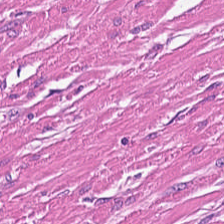H&E. Smooth-muscle tissue.
